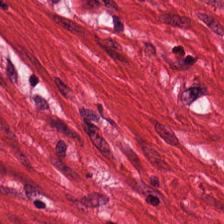Tissue class: smooth muscle.
